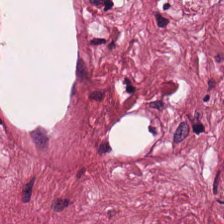H&E stain · formalin-fixed paraffin-embedded section.
Q: What is shown in this field?
A: It is tumor stroma.
